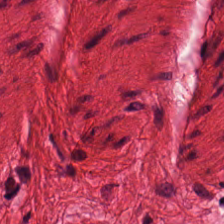Brightfield microscopy; H&E; 0.5 µm/px. The tissue here is muscularis.
